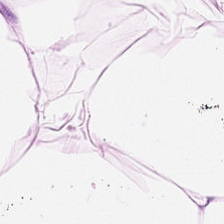Hematoxylin-and-eosin stained section.
This patch shows fat tissue.
